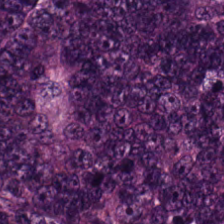20× equivalent magnification · H&E. This field is adenocarcinoma.
